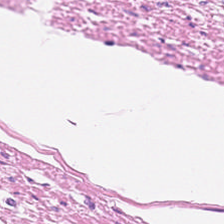Brightfield; hematoxylin-and-eosin stained section — Q: What tissue is shown?
A: The field shows muscularis.
